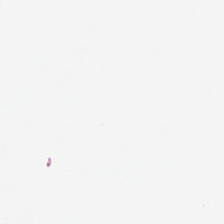FFPE. 224×224 px tile. Hematoxylin-and-eosin stained section. The content is background (no tissue).
